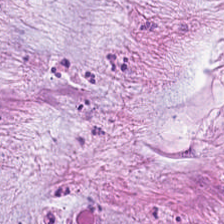H&E-stained tissue section — Tissue type = mucus.
